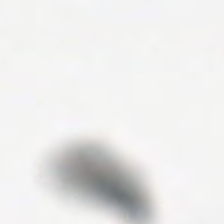H&E stain — Q: What is shown in this field?
A: The field shows no tissue.
